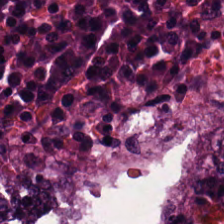H&E stain. Adenocarcinoma.
